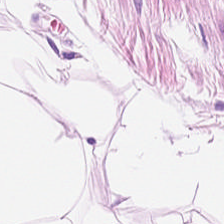Hematoxylin and eosin; brightfield microscopy — Tissue class — fat tissue.
